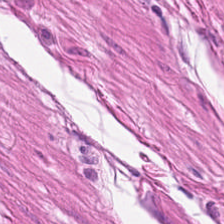Hematoxylin-and-eosin stained section.
The tissue here is muscularis.
